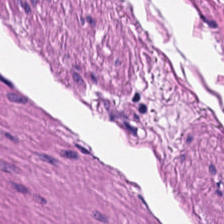Stain: H&E.
Acquisition: brightfield.
Tissue class: smooth muscle.
